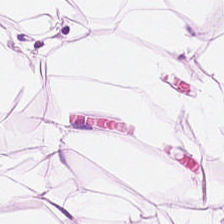H&E.
{"tissue_type": "adipocytes"}
